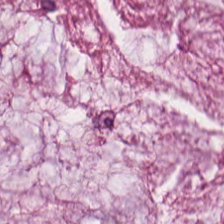Classification: mucin.
